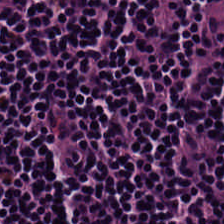Stain: hematoxylin and eosin.
Predominant tissue: lymphocytic infiltrate.
